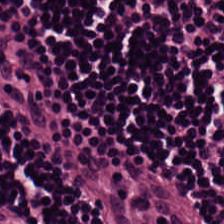H&E stain.
Tissue class = lymphocytic infiltrate.
